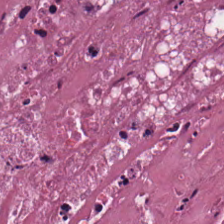Brightfield microscopy. 224×224 px patch. Hematoxylin and eosin.
This patch shows cellular debris.
